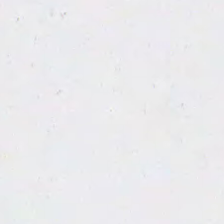FFPE tissue section; H&E stain — Q: What is shown here?
A: This is background (no tissue).
